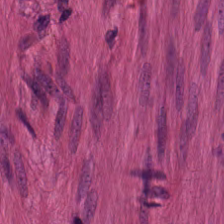Hematoxylin-and-eosin stained section.
Q: Classify this patch.
A: It is smooth muscle.
